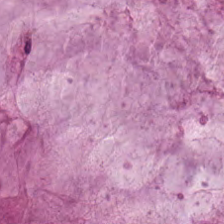H&E-stained tissue section.
Impression → extracellular mucin.
